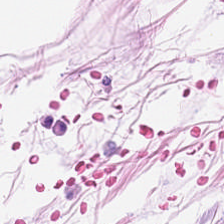Q: What tissue is shown?
A: It is fat tissue.
